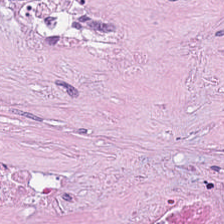Showing necrotic debris.
